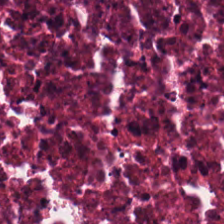Hematoxylin-and-eosin stained section; FFPE tissue section. Necrotic debris.
